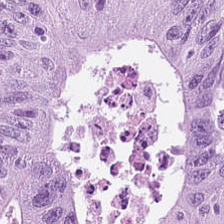H&E — The predominant tissue is malignant epithelium.
